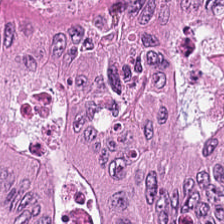Predominant tissue — colorectal adenocarcinoma.
